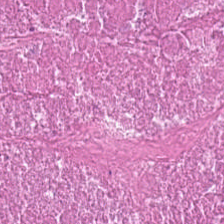Hematoxylin and eosin. Whole-slide-image patch. FFPE.
Predominant tissue = necrotic debris.
